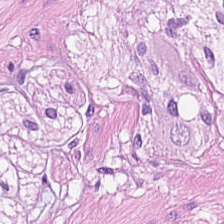Hematoxylin-and-eosin section: muscularis.
